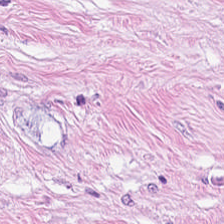WSI patch; formalin-fixed paraffin-embedded section; H&E. Tissue class: tumor-associated stroma.
